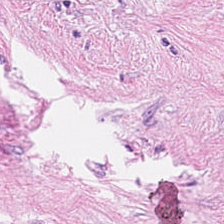This patch shows desmoplastic stroma.
